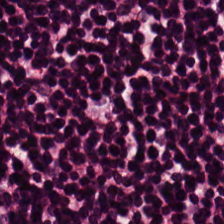This patch shows lymphocyte aggregate.
